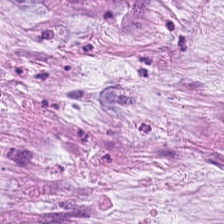Q: What tissue type is shown here?
A: This is extracellular mucin.
